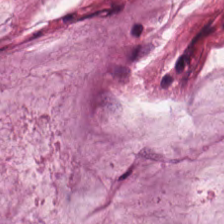0.5 microns per pixel. H&E-stained tissue section. WSI patch — Predominant tissue — mucin.
